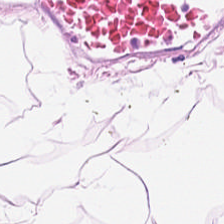Hematoxylin and eosin.
Q: Classify this patch.
A: Adipose tissue.
